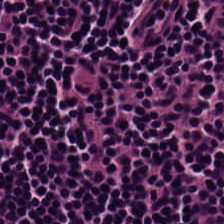The tissue type is lymphocytes.
